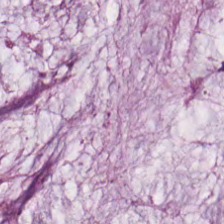Stain: hematoxylin and eosin.
Predominant tissue: mucin.
